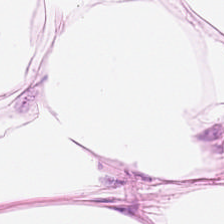Stain: H&E-stained tissue section.
Acquisition: brightfield microscopy.
Tissue: adipose.
